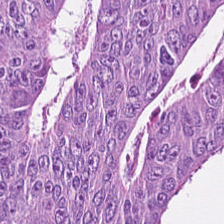The tissue is tumor epithelium.
